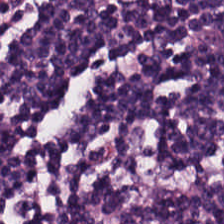H&E. Q: Identify the tissue.
A: It is lymphocytes.
